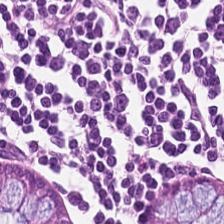Finding — benign colonic mucosa.
